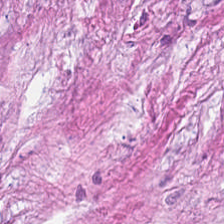H&E stain. 0.5 µm per pixel — The tissue here is cancer-associated stroma.
